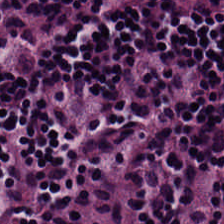Stain: H&E.
Tissue type: lymphocyte aggregate.
